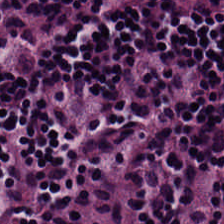Stain: H&E.
Tissue type: lymphocyte aggregate.
